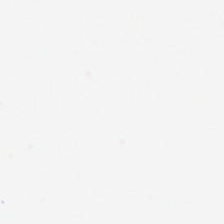Hematoxylin-and-eosin stained section; 0.5 µm per pixel.
Background.
